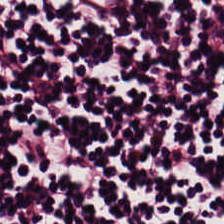WSI patch; H&E-stained tissue section.
Showing lymphoid infiltrate.
